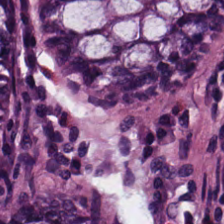20× equivalent magnification; H&E stain. Benign colonic mucosa.
